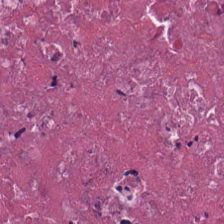Hematoxylin-and-eosin stained section. Tissue class — cellular debris.
